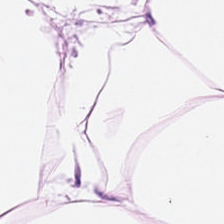Hematoxylin-and-eosin stained section.
This field is adipose.
